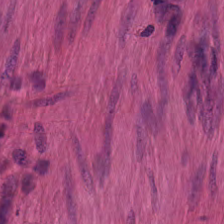0.5 µm per pixel · hematoxylin-and-eosin stained section · 224×224 px tile. Q: What type of tissue is this?
A: It is smooth muscle.
